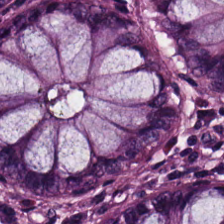H&E-stained tissue section; whole-slide-image patch — This field is normal colon mucosa.
